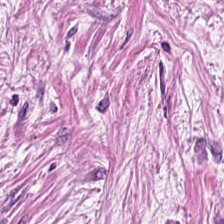{"tissue_type": "tumor stroma"}
